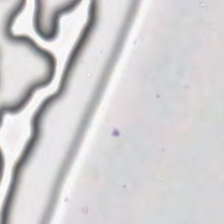Impression — empty background.
